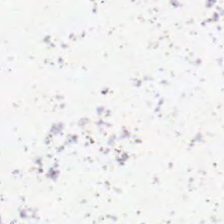No tissue present; background only.
